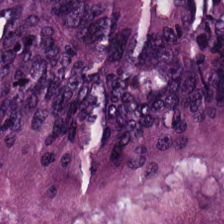Stain: H&E.
Acquisition: brightfield microscopy.
Tissue: malignant epithelium.
